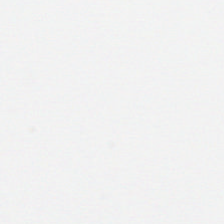224×224 px tile · hematoxylin-and-eosin stained section. Q: What does this patch show?
A: This is empty background.
